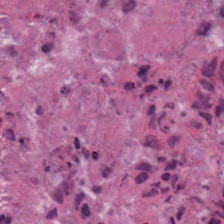H&E. Predominantly necrotic debris.
